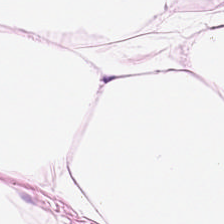0.5 µm per pixel · H&E.
Impression → adipocytes.
